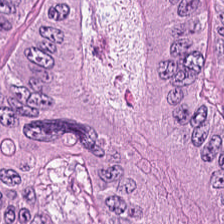Hematoxylin-and-eosin stained section. 0.5 µm per pixel.
Finding → colorectal adenocarcinoma.
